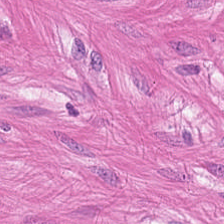Hematoxylin-and-eosin section: smooth-muscle tissue.
